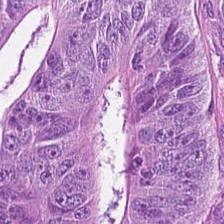Hematoxylin and eosin; whole-slide-image patch.
Showing colorectal adenocarcinoma.
